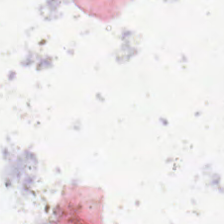Q: What does this patch show?
A: The field shows empty background.
